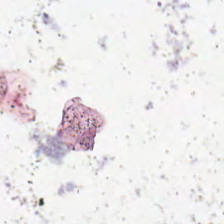FFPE. Hematoxylin-and-eosin stained section — The field content is no tissue.
